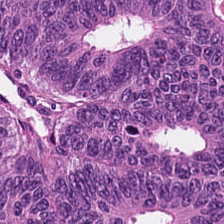WSI patch; hematoxylin-and-eosin stained section. Finding → malignant epithelium.
